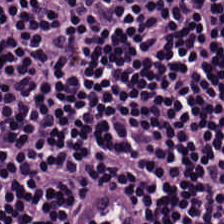H&E stain — Q: What type of tissue is this?
A: The field shows lymphocytes.
